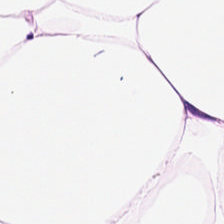Q: What is the predominant tissue type?
A: It is fat tissue.
